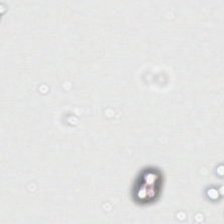WSI patch. Hematoxylin-and-eosin stained section.
This field is background (no tissue).
